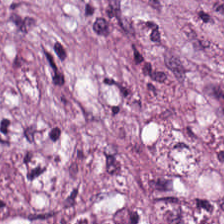The tissue here is tumor-associated stroma.
